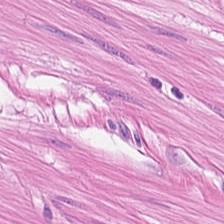Hematoxylin-and-eosin stained section · 224×224 pixel tile.
Q: What is shown here?
A: It is smooth-muscle tissue.
